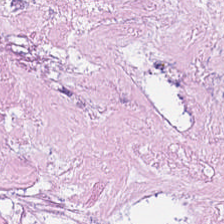This field is cellular debris.
